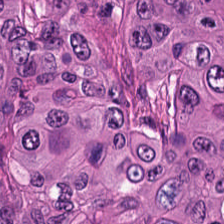Stain: H&E.
Tissue type: colorectal adenocarcinoma.
